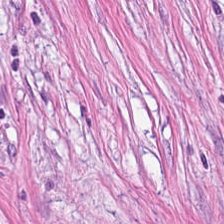Hematoxylin-and-eosin stained section.
Tissue class: cancer-associated stroma.
